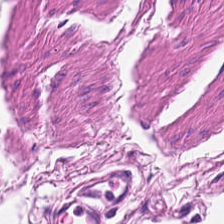{"tissue_type": "smooth muscle"}
